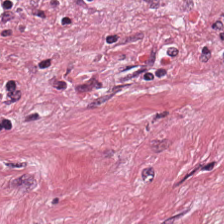Hematoxylin-and-eosin stained section; FFPE tissue section. Tumor-associated stroma.
